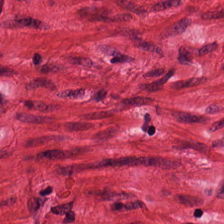Classification = muscularis.
